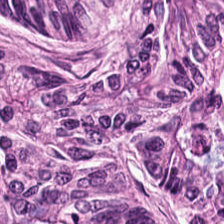20× equivalent magnification; H&E. Predominantly tumor epithelium.
